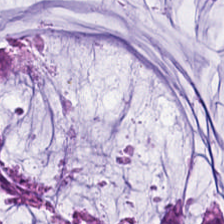H&E-stained tissue section · 224×224 px tile.
The predominant tissue is mucus.
